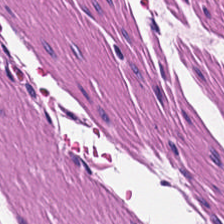Hematoxylin and eosin · brightfield microscopy.
The tissue here is smooth muscle.
